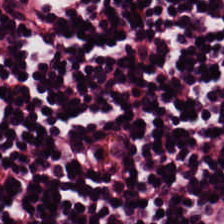The tissue is lymphocytes.
